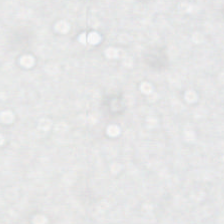H&E-stained tissue section — Background.
